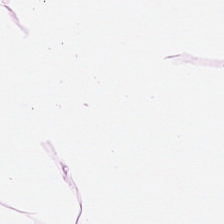Hematoxylin and eosin.
Q: What is shown here?
A: It is adipocytes.
